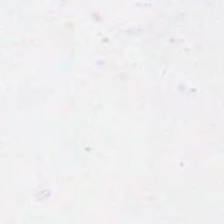H&E; FFPE — This patch shows empty background.
